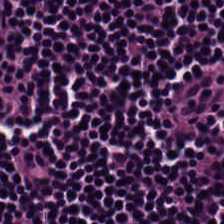Stain: H&E-stained tissue section.
Classification: lymphocytic infiltrate.
